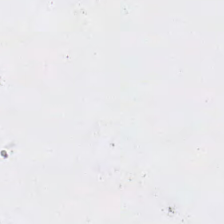Stain: hematoxylin and eosin.
Acquisition: WSI patch.
Field content: background.
